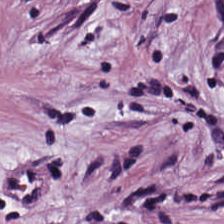This field is cancer-associated stroma.
